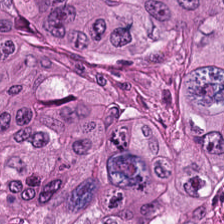Stain: hematoxylin and eosin.
Tile size: 224×224 px patch.
Resolution: 0.5 µm/px.
Tissue: colorectal adenocarcinoma epithelium.
